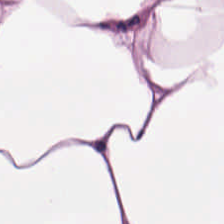Hematoxylin and eosin — Tissue = adipose tissue.
